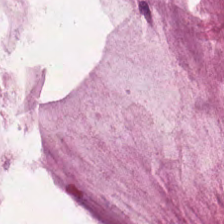H&E.
Q: What is shown in this field?
A: It is mucus.
